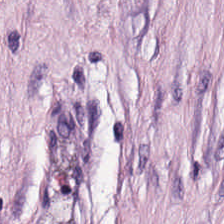Stain: H&E stain.
Tissue: tumor stroma.
